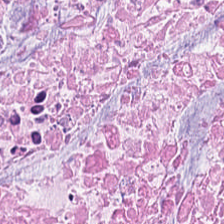H&E — Q: What does this patch show?
A: This is debris.
